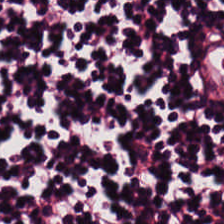Hematoxylin and eosin · 20× equivalent magnification — This field is lymphoid infiltrate.
